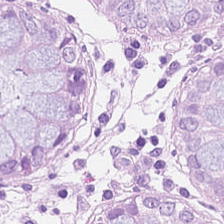{"tissue_type": "benign colonic mucosa"}
